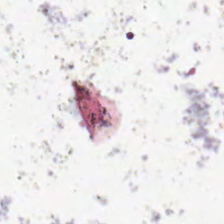H&E-stained tissue section — No tissue present; background only.
